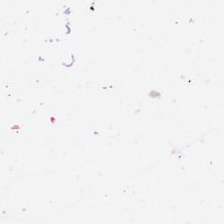H&E-stained tissue section. Q: What is shown in this field?
A: No tissue.
